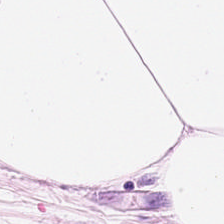H&E-stained tissue section. Classification = adipose tissue.
